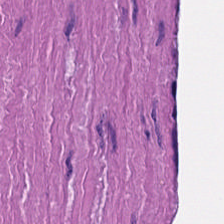Hematoxylin-and-eosin stained section. The predominant tissue is smooth muscle.
